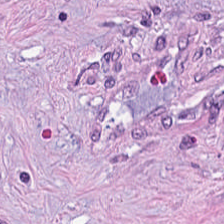Stain: H&E-stained tissue section.
Classification: tumor-associated stroma.
